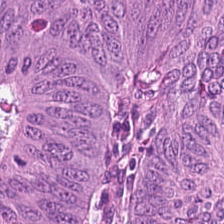Hematoxylin-and-eosin stained section.
{"tissue_type": "adenocarcinoma"}
